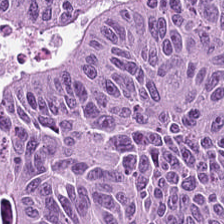Hematoxylin and eosin; 224×224 px tile. {"tissue_type": "tumor epithelium"}
